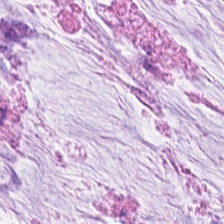H&E stain. Tissue class — extracellular mucin.
